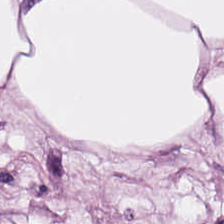Q: What does this patch show?
A: Adipose.
